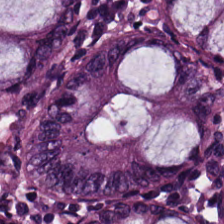Impression — normal colonic mucosa.
